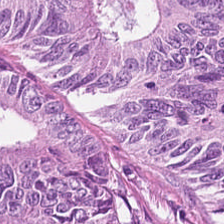Hematoxylin and eosin. 0.5 microns per pixel. Classification = malignant epithelium.
